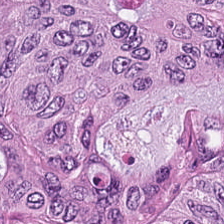WSI patch; formalin-fixed paraffin-embedded section; H&E-stained tissue section — Impression — colorectal adenocarcinoma.
